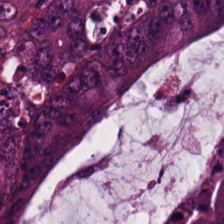H&E stain. {"tissue_type": "tumor epithelium"}
